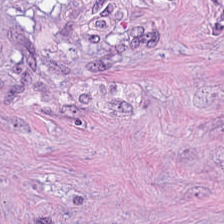Hematoxylin-and-eosin stained section. Brightfield microscopy.
Finding → tumor stroma.
